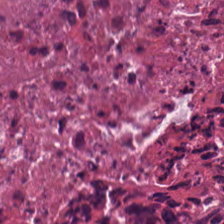H&E stain — Q: What type of tissue is this?
A: Cellular debris.
